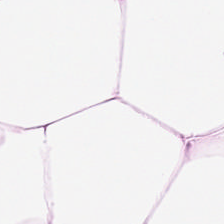Histology → fat tissue.
